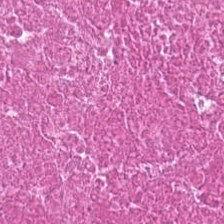Stain: hematoxylin-and-eosin stained section.
Classification: necrotic debris.
